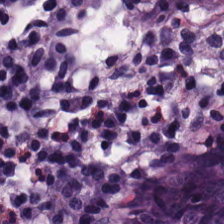H&E stain. Q: What type of tissue is this?
A: Non-neoplastic colon mucosa.
